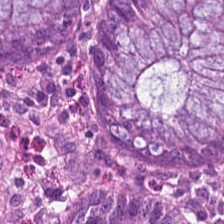0.5 microns per pixel. H&E-stained tissue section. FFPE tissue section. Classification = normal colon mucosa.
